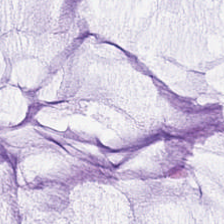0.5 µm/px · hematoxylin-and-eosin stained section. The tissue is mucus.
